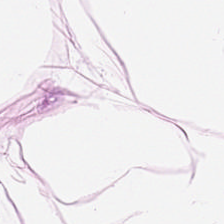Hematoxylin-and-eosin section: adipose tissue.
